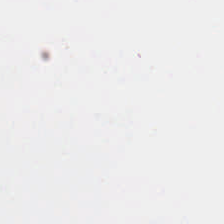224×224 px patch · hematoxylin and eosin · brightfield.
{"content": "empty background"}
